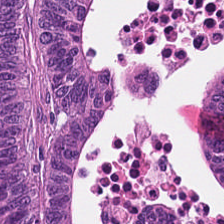The classification is malignant epithelium.
